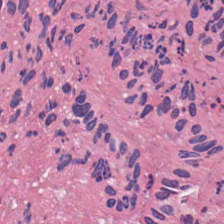Hematoxylin-and-eosin stained section.
Tissue class — debris.
